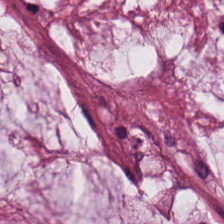Q: What is shown here?
A: This is mucin.
